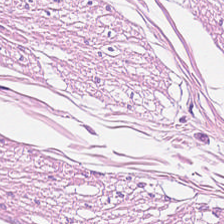FFPE tissue section · 0.5 microns per pixel · hematoxylin-and-eosin stained section. This field is smooth-muscle tissue.
